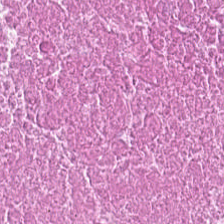Tissue = debris.
